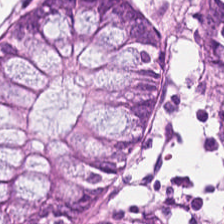The tissue here is non-neoplastic colon mucosa.
